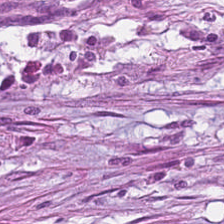Stain: H&E-stained tissue section.
Classification: tumor-associated stroma.
